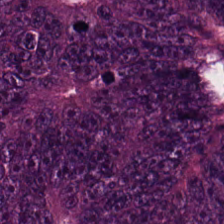H&E stain — Tissue = colorectal adenocarcinoma epithelium.
